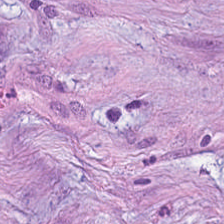Stain: H&E.
Tile size: 224×224 pixel tile.
Acquisition: whole-slide-image patch.
Tissue type: tumor-associated stroma.
